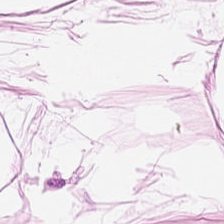224×224 px tile. Hematoxylin and eosin — Histology → fat tissue.
